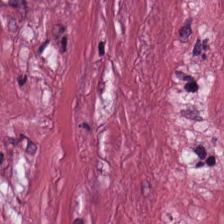Hematoxylin-and-eosin stained section · 0.5 microns per pixel — Impression → cancer-associated stroma.
